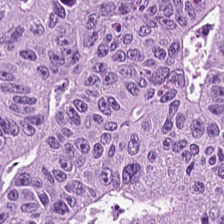WSI patch · hematoxylin-and-eosin stained section.
Predominant tissue: tumor epithelium.
